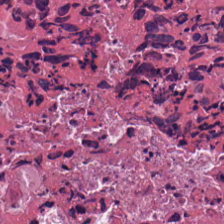Hematoxylin and eosin.
Predominantly necrotic debris.
